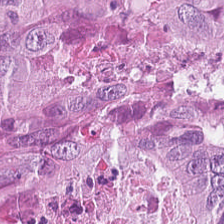WSI patch · 224×224 px tile · H&E stain.
Q: What is shown in this field?
A: It is adenocarcinoma.
